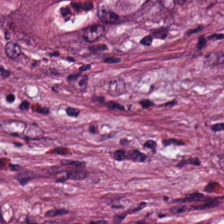Stain: H&E-stained tissue section.
Tile size: 224×224 px tile.
Predominant tissue: tumor-associated stroma.
